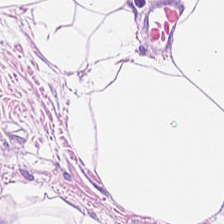{"tissue_type": "fat tissue"}
